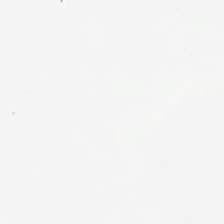FFPE · H&E. Field content — no tissue.
